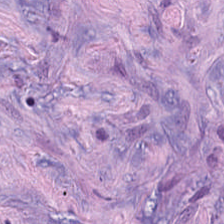20× equivalent magnification · hematoxylin and eosin. {"tissue_type": "cancer-associated stroma"}
